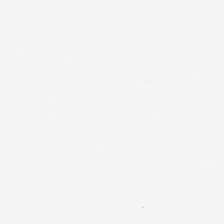Brightfield; H&E stain — No tissue present; background only.
